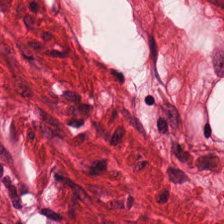H&E-stained tissue section; 0.5 microns per pixel. Q: What is the predominant tissue type?
A: The field shows smooth muscle.
